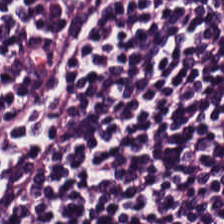Hematoxylin-and-eosin stained section · FFPE.
Tissue class: lymphoid infiltrate.
